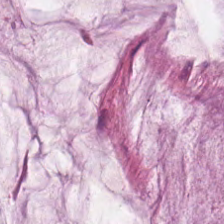H&E-stained tissue section — The predominant tissue is extracellular mucin.
